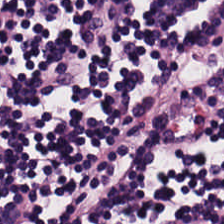Brightfield. H&E. Tissue class — lymphocyte aggregate.
